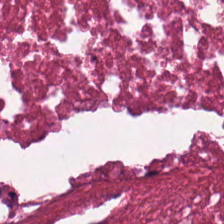Brightfield microscopy. Hematoxylin-and-eosin stained section. Histology → necrotic debris.
